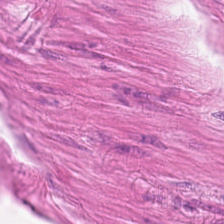H&E-stained tissue section. 20× equivalent magnification. FFPE. Histology — muscularis.
